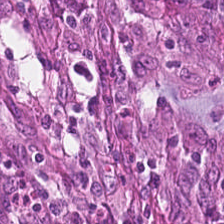Stain: H&E.
Classification: colorectal adenocarcinoma.
